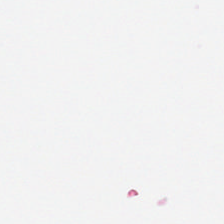224×224 px tile · H&E-stained tissue section — No tissue present; background only.
